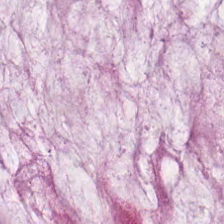The tissue here is mucin.
